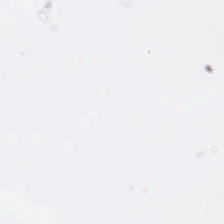H&E stain.
{"content": "no tissue"}
